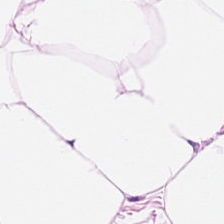Q: Classify this patch.
A: The field shows adipose tissue.
